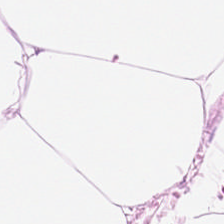H&E-stained section; the field shows fat tissue.
